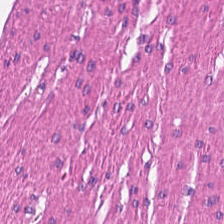H&E-stained section; the field shows smooth-muscle tissue.
